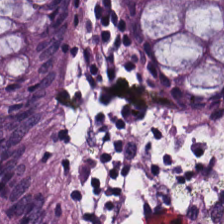Hematoxylin-and-eosin stained section · whole-slide-image patch. This field is non-neoplastic colon mucosa.
